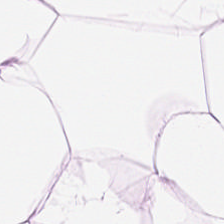H&E patch showing fat tissue.
